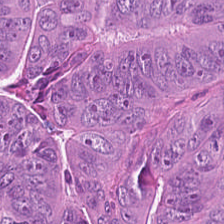H&E stain; 0.5 µm per pixel. Impression → malignant epithelium.
